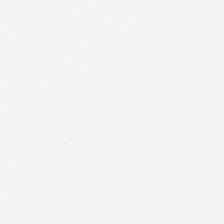Q: What is shown here?
A: This is background.
